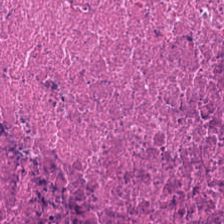H&E — Necrotic debris.
